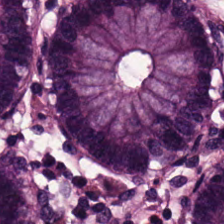Whole-slide-image patch; hematoxylin and eosin. Classification — non-neoplastic colon mucosa.
